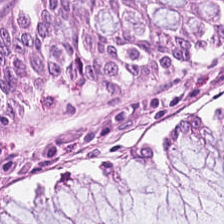Whole-slide-image patch · H&E. This field is non-neoplastic colon mucosa.
